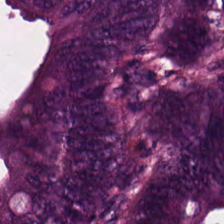Stain: hematoxylin and eosin.
Resolution: 0.5 microns per pixel.
Tissue type: adenocarcinoma.
